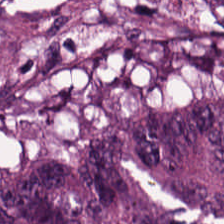0.5 µm/px · H&E stain — Tissue — malignant epithelium.
